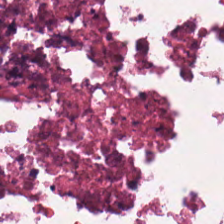H&E-stained section; the field shows cellular debris.
